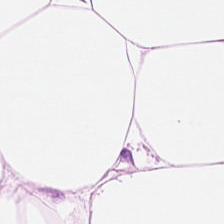H&E-stained tissue section. This patch shows fat tissue.
